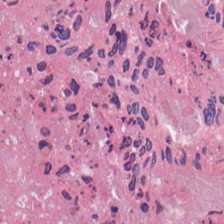Brightfield. 0.5 µm/px. H&E stain.
This patch shows necrotic debris.
